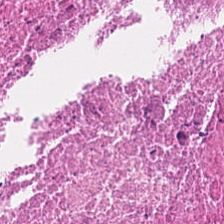H&E-stained tissue section.
The predominant tissue is cellular debris.
